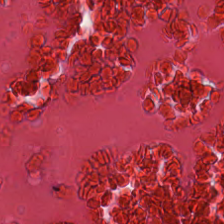H&E-stained tissue section. Necrotic debris.
